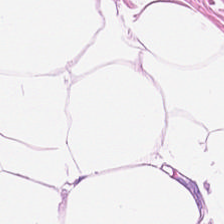Formalin-fixed paraffin-embedded section · H&E — Tissue type — adipose.
